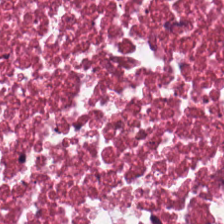H&E — debris.
